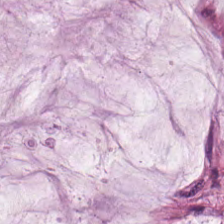Stain: hematoxylin-and-eosin stained section.
Preparation: FFPE.
Tissue type: mucus.
